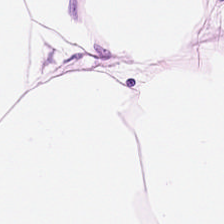H&E stain. Showing adipose.
